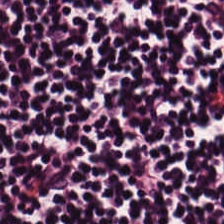{"tissue_type": "lymphocytes"}
